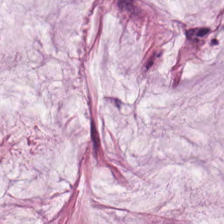Q: Classify this patch.
A: It is mucus.
